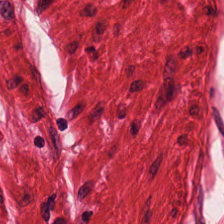Hematoxylin and eosin — Classification — smooth-muscle tissue.
